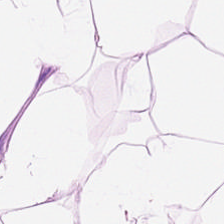Q: What tissue is shown?
A: This is adipocytes.
